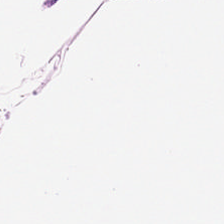H&E. Histology → adipocytes.
